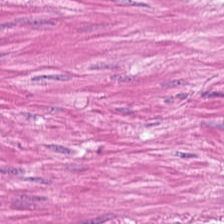Impression — muscularis.
